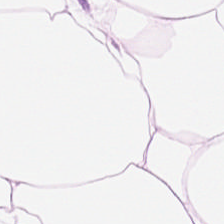H&E-stained tissue section; 20× equivalent magnification; 224×224 pixel tile. Predominantly adipose tissue.
